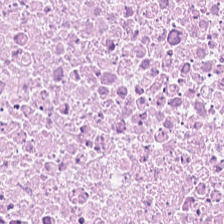Brightfield microscopy; FFPE; H&E stain.
This patch shows cellular debris.
